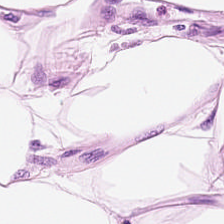H&E. Q: What type of tissue is this?
A: This is adipocytes.
